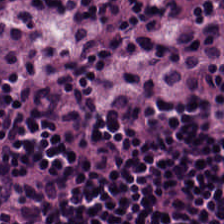{"tissue_type": "lymphocyte aggregate"}
